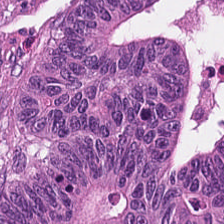H&E-stained tissue section showing colorectal adenocarcinoma.
